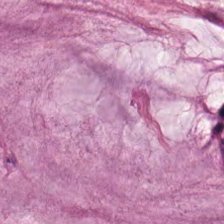H&E stain. Q: What tissue type is shown here?
A: The field shows extracellular mucin.
